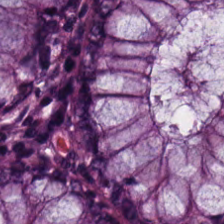Stain: H&E stain.
Acquisition: WSI patch.
Tissue type: normal colon mucosa.
